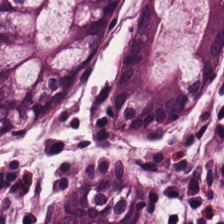0.5 µm per pixel. H&E-stained tissue section. 224×224 px patch.
Tissue type — normal colonic mucosa.
